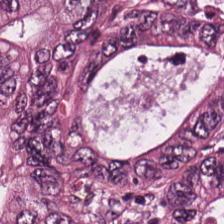Stain: H&E stain.
Tissue type: malignant epithelium.
